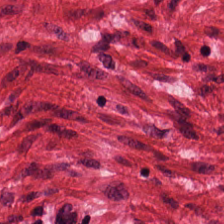WSI patch; H&E.
The predominant tissue is muscularis.
